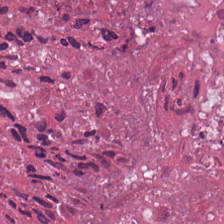H&E stain. Q: What type of tissue is this?
A: Cellular debris.
